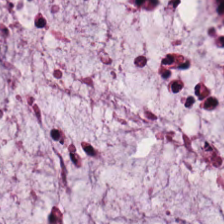Whole-slide-image patch · H&E — This field is extracellular mucin.
